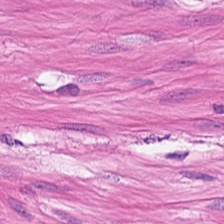Hematoxylin-and-eosin stained section. {"tissue_type": "muscularis"}
